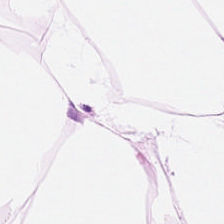0.5 µm per pixel · H&E stain — Q: What tissue is shown?
A: Adipose.
